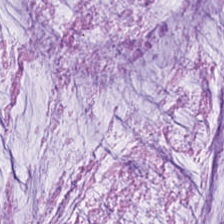H&E — Impression → mucus.
